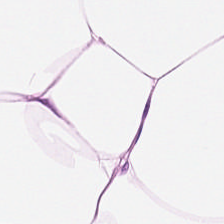H&E.
The tissue here is adipocytes.
